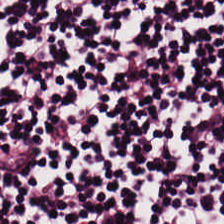WSI patch. H&E-stained tissue section — Predominant tissue: lymphocyte aggregate.
